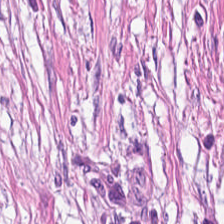H&E-stained tissue section · FFPE tissue section — Impression — tumor-associated stroma.
